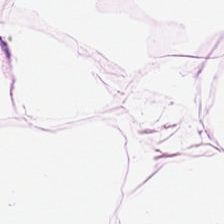Histology → adipose tissue.
